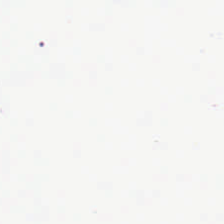H&E stain. Content = background.
